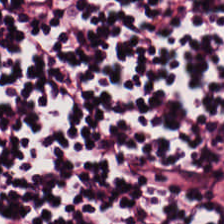H&E patch showing lymphocytic infiltrate.
